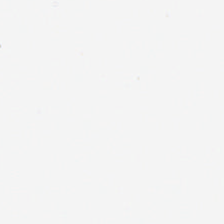Hematoxylin-and-eosin stained section; 20× equivalent magnification; whole-slide-image patch. This patch shows background.
